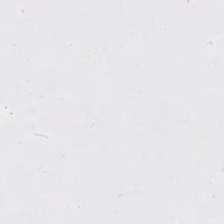H&E stain.
Q: Classify this patch.
A: This is empty background.
